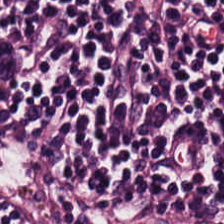H&E. Predominantly lymphoid infiltrate.
